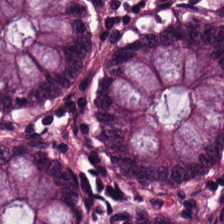Hematoxylin-and-eosin stained section. Classification — benign colonic mucosa.
